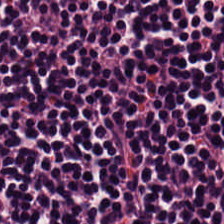Stain: hematoxylin-and-eosin stained section.
Tissue: lymphocytic infiltrate.
